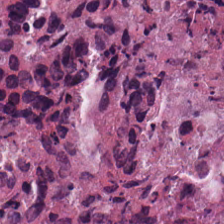WSI patch; hematoxylin-and-eosin stained section — Cellular debris.
